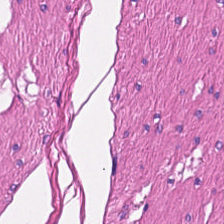FFPE tissue section; H&E stain; 224×224 pixel tile. Q: What tissue is shown?
A: Smooth-muscle tissue.
